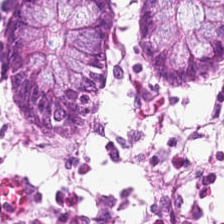Tissue = normal colon mucosa.
